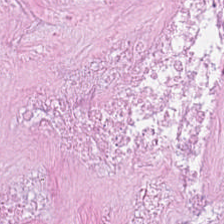Tissue — necrotic debris.
